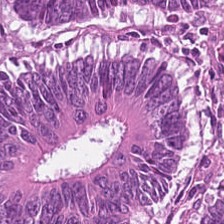H&E-stained tissue section — Classification — tumor epithelium.
